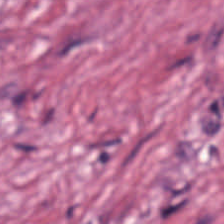224×224 pixel tile. H&E. FFPE.
The tissue here is desmoplastic stroma.
